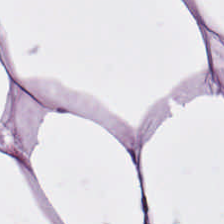H&E-stained tissue section — Q: What is shown in this field?
A: This is adipose tissue.
